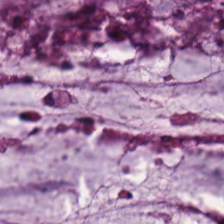Histology — mucin.
